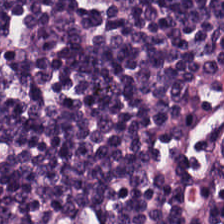Q: What is shown in this field?
A: Lymphocytes.
